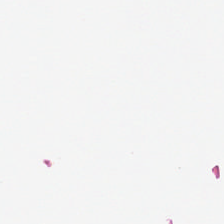Hematoxylin-and-eosin stained section; whole-slide-image patch.
Q: What is shown here?
A: It is no tissue.
